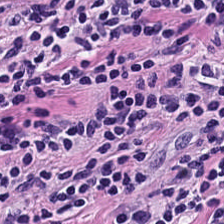H&E stain — Lymphoid infiltrate.
